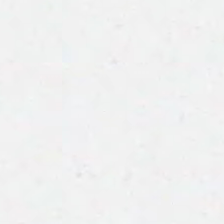The content is background.
